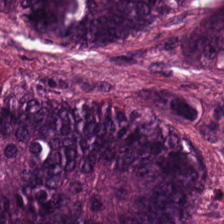H&E-stained tissue section showing malignant epithelium.
